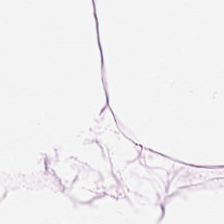Hematoxylin-and-eosin stained section. FFPE.
Showing adipose.
